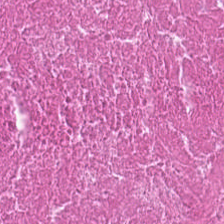Cellular debris.
